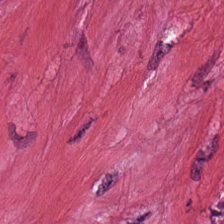Stain: hematoxylin and eosin.
Acquisition: WSI patch.
Predominant tissue: tumor stroma.
